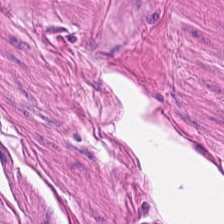Hematoxylin-and-eosin stained section. FFPE tissue section.
Classification — smooth-muscle tissue.
